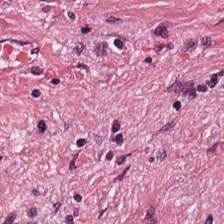Hematoxylin and eosin — Finding — cancer-associated stroma.
